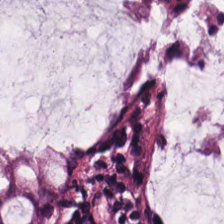H&E. 20× equivalent magnification. This patch shows non-neoplastic colon mucosa.
